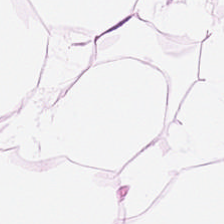Hematoxylin-and-eosin stained section. Classification = adipose tissue.
